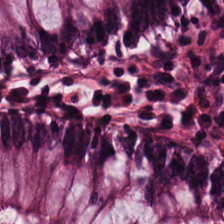Stain: hematoxylin-and-eosin stained section.
Acquisition: brightfield.
Tissue class: normal colonic mucosa.
